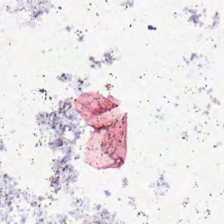Hematoxylin and eosin — Q: What does this patch show?
A: The field shows empty background.
